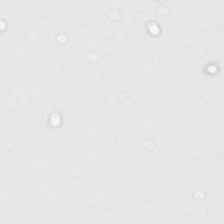H&E — This field is background (no tissue).
